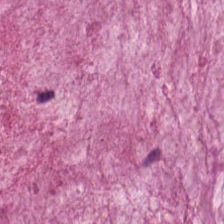Q: Classify this patch.
A: This is extracellular mucin.
